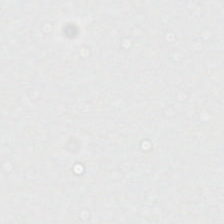H&E-stained tissue section; FFPE tissue section — {"content": "empty background"}
